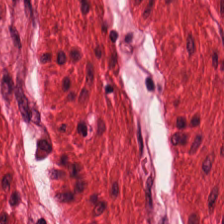FFPE tissue section · H&E — {"tissue_type": "smooth muscle"}
